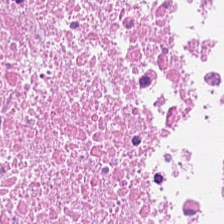{"tissue_type": "debris"}
